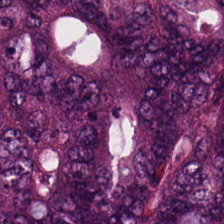H&E — tumor epithelium.
